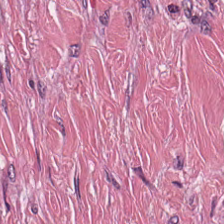Hematoxylin and eosin; 0.5 µm per pixel. The predominant tissue is tumor-associated stroma.
